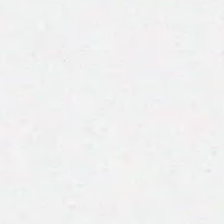H&E stain. Empty field — no tissue.
